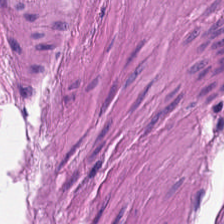H&E patch showing smooth muscle.
